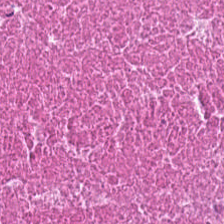Tissue class — necrotic debris.
